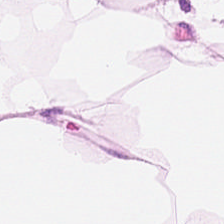H&E — adipose.
